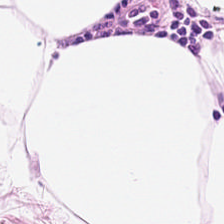Hematoxylin and eosin.
Showing fat tissue.
